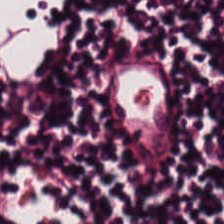224×224 px patch. H&E stain. 0.5 µm per pixel.
This patch shows lymphocytes.
